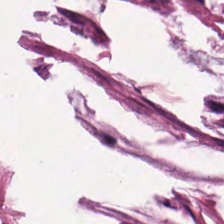Hematoxylin and eosin. Tissue: mucin.
